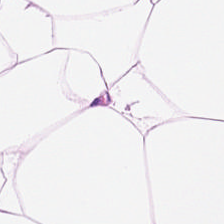H&E-stained section; the field shows adipose tissue.
